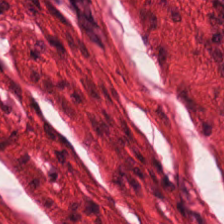Hematoxylin-and-eosin stained section. This field is muscularis.
